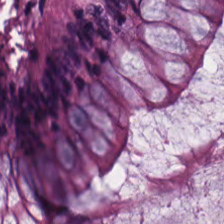Hematoxylin-and-eosin stained section · 0.5 µm/px.
Q: What is shown in this field?
A: The field shows normal colonic mucosa.
